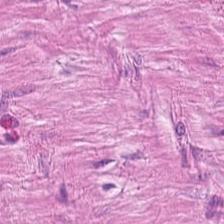Formalin-fixed paraffin-embedded section; hematoxylin and eosin — Smooth muscle.
